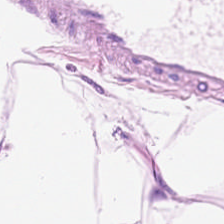Tissue type — adipose.
